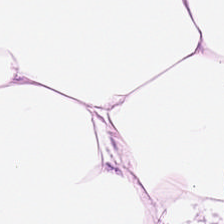Hematoxylin and eosin — This patch shows fat tissue.
